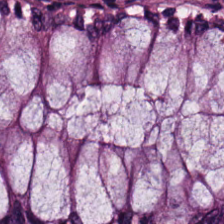Formalin-fixed paraffin-embedded section; brightfield; H&E.
The tissue here is normal colon mucosa.
